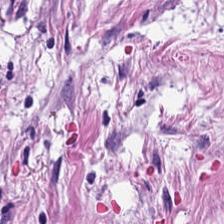Hematoxylin-and-eosin stained section; WSI patch — The predominant tissue is tumor stroma.
